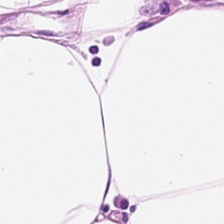FFPE tissue section. H&E-stained tissue section — Predominantly adipose tissue.
